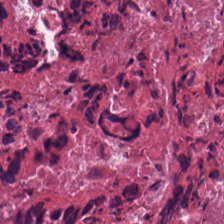Classification: necrotic debris.
